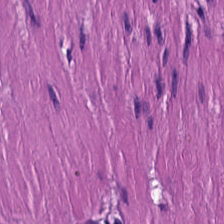H&E. Brightfield. 20× equivalent magnification. Q: Identify the tissue.
A: Muscularis.
